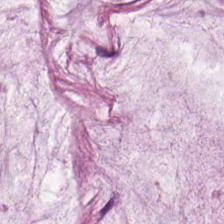H&E stain — Classification — mucin.
